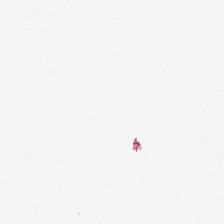H&E-stained tissue section — Content: empty background.
